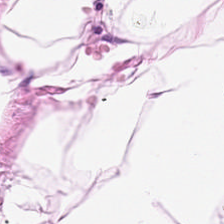Stain: hematoxylin-and-eosin stained section.
Predominant tissue: fat tissue.
